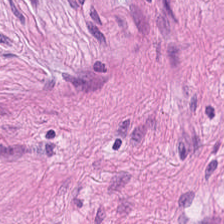Smooth muscle.
